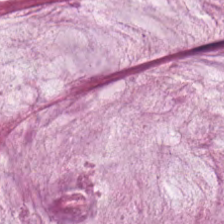Whole-slide-image patch · hematoxylin-and-eosin stained section — Q: What is shown in this field?
A: It is extracellular mucin.
